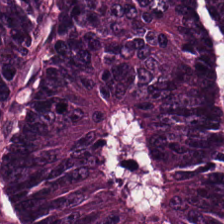Hematoxylin-and-eosin stained section · 224×224 px patch · whole-slide-image patch. Histology — colorectal adenocarcinoma.
